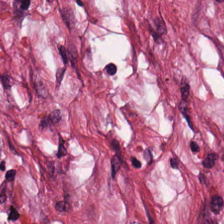H&E stain; 0.5 µm per pixel — Predominantly tumor-associated stroma.
